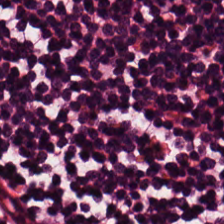H&E.
Q: What tissue is shown?
A: It is lymphoid infiltrate.
